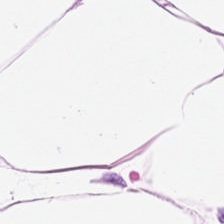H&E — Q: Identify the tissue.
A: This is fat tissue.
